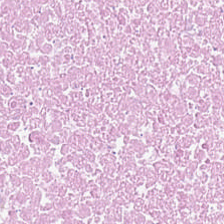Stain: hematoxylin and eosin.
Tissue type: cellular debris.
